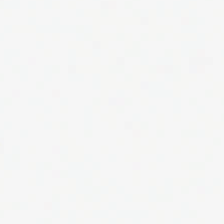Formalin-fixed paraffin-embedded section. 224×224 px patch. Hematoxylin and eosin. This patch shows empty background.
